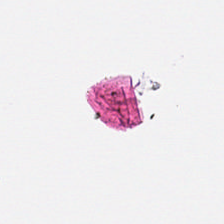Stain: hematoxylin-and-eosin stained section.
Preparation: FFPE tissue section.
Content: background (no tissue).
